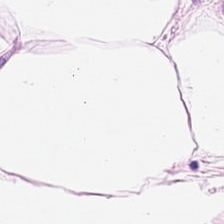0.5 µm per pixel; FFPE tissue section; H&E. The tissue class is adipose tissue.
